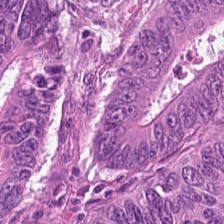This patch shows tumor epithelium.
